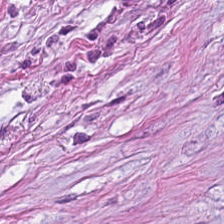H&E stain; 20× equivalent magnification; whole-slide-image patch. Q: What tissue type is shown here?
A: This is tumor-associated stroma.
